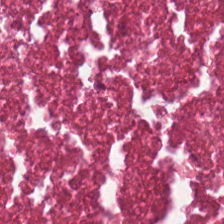H&E · 224×224 pixel tile.
Q: What is the predominant tissue type?
A: This is cellular debris.
